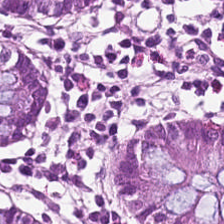H&E-stained tissue section — Q: What does this patch show?
A: It is benign colonic mucosa.
